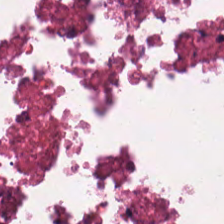Formalin-fixed paraffin-embedded section · 224×224 px tile · H&E. The tissue here is cellular debris.
